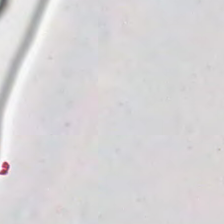Stain: hematoxylin-and-eosin stained section.
Content: background.
